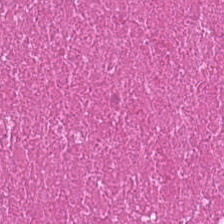Tissue class: necrotic debris.
